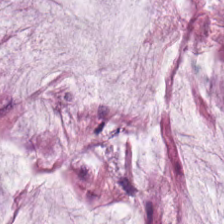{"tissue_type": "mucus"}
